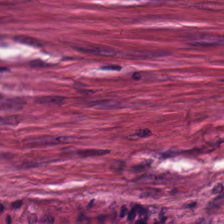Predominantly tumor-associated stroma.
